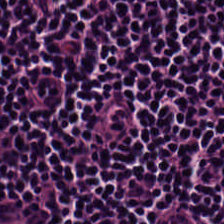Formalin-fixed paraffin-embedded section · H&E — This field is lymphoid infiltrate.
